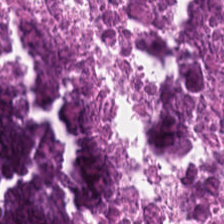Q: What is shown in this field?
A: Debris.
